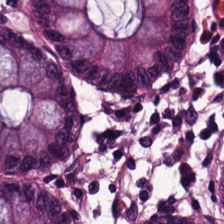H&E stain — Finding — non-neoplastic colon mucosa.
